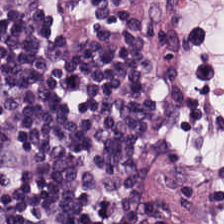Q: Classify this patch.
A: This is lymphoid infiltrate.
